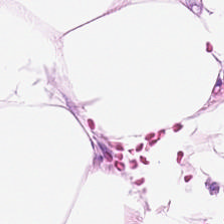Hematoxylin and eosin · formalin-fixed paraffin-embedded section · brightfield.
The tissue type is fat tissue.
